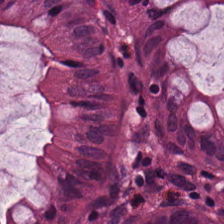Classification = normal colonic mucosa.
